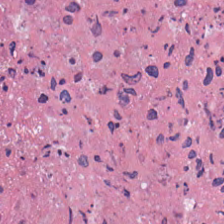Predominant tissue — necrotic debris.
